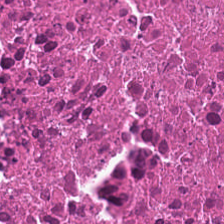H&E stain — The tissue class is cellular debris.
